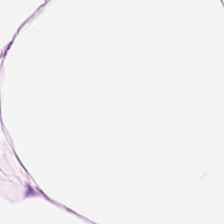H&E-stained tissue section — Predominantly adipose tissue.
